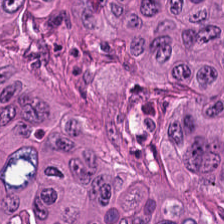Hematoxylin and eosin. 224×224 px tile.
The predominant tissue is colorectal adenocarcinoma epithelium.
